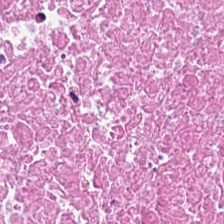Classification: necrotic debris.
